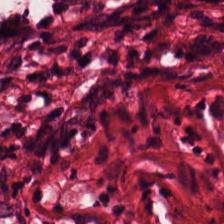Tissue = tumor stroma.
